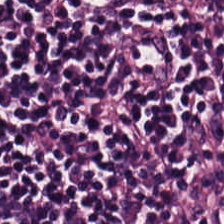Brightfield microscopy; H&E — Showing lymphocytic infiltrate.
